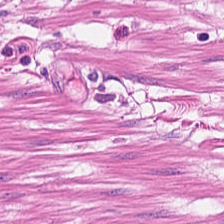Hematoxylin and eosin — Predominant tissue = smooth muscle.
